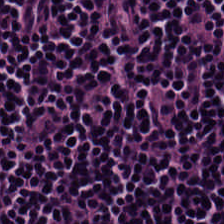Formalin-fixed paraffin-embedded section; hematoxylin and eosin.
Tissue = lymphocytic infiltrate.
